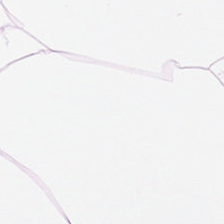WSI patch. H&E-stained tissue section. Formalin-fixed paraffin-embedded section.
Predominant tissue: adipocytes.
